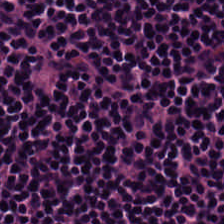H&E.
Predominantly lymphoid infiltrate.
